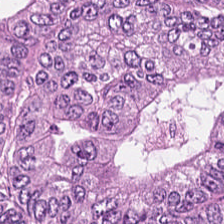H&E · whole-slide-image patch · 224×224 px patch.
Classification — colorectal adenocarcinoma epithelium.
